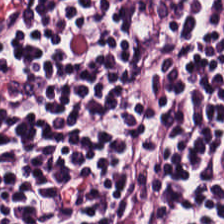Hematoxylin-and-eosin stained section — The predominant tissue is lymphocytes.
